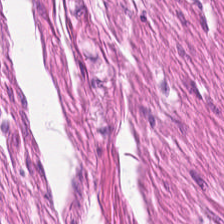H&E stain. Tissue: muscularis.
